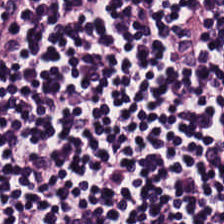Hematoxylin-and-eosin stained section. Classification = lymphoid infiltrate.
